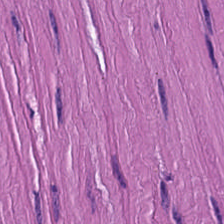H&E stain.
The tissue type is muscularis.
